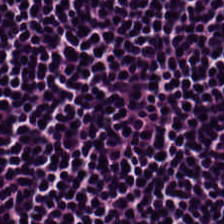Stain: hematoxylin and eosin.
Tissue type: lymphocytic infiltrate.
